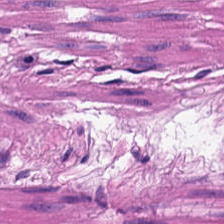0.5 microns per pixel; H&E-stained tissue section — This patch shows smooth-muscle tissue.
